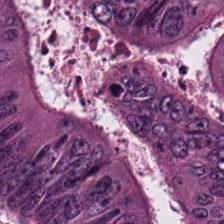The predominant tissue is tumor epithelium.
